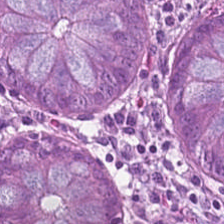Hematoxylin-and-eosin stained section — The predominant tissue is normal colon mucosa.
